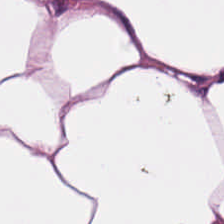H&E stain.
Q: What is shown in this field?
A: This is adipose tissue.
